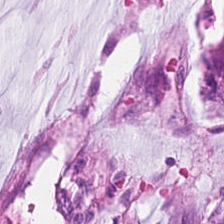H&E-stained tissue section.
This patch shows extracellular mucin.
